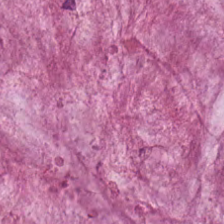Stain: hematoxylin and eosin.
Resolution: 0.5 microns per pixel.
Preparation: FFPE.
Tissue type: mucin.
